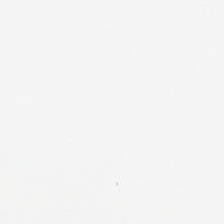Content: no tissue.
